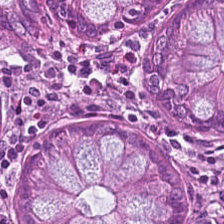Hematoxylin-and-eosin section: non-neoplastic colon mucosa.
